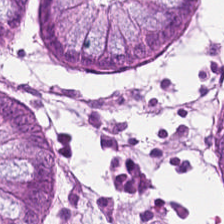Hematoxylin and eosin. Predominant tissue: benign colonic mucosa.
